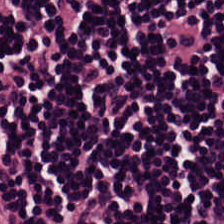Hematoxylin-and-eosin stained section — Lymphocytic infiltrate.
